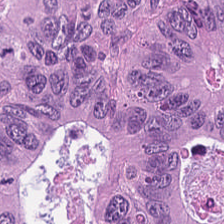H&E-stained tissue section. {"tissue_type": "adenocarcinoma"}
